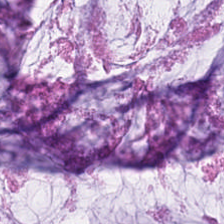The classification is mucin.
